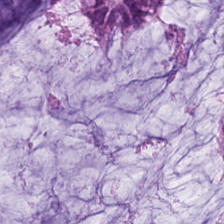Hematoxylin and eosin. Formalin-fixed paraffin-embedded section — Predominant tissue = mucus.
